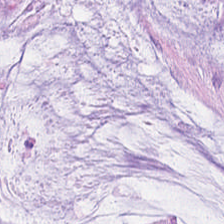Stain: hematoxylin and eosin.
Tile size: 224×224 pixel tile.
Predominant tissue: mucin.
